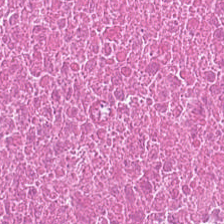Stain: hematoxylin-and-eosin stained section.
Classification: cellular debris.
